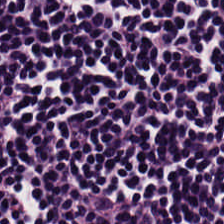H&E stain.
Showing lymphoid infiltrate.
